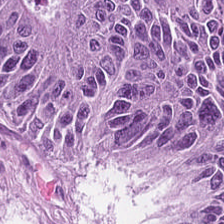Hematoxylin and eosin. Predominant tissue: adenocarcinoma.
